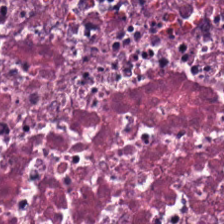0.5 µm per pixel. Formalin-fixed paraffin-embedded section. Hematoxylin-and-eosin stained section. Q: What is the predominant tissue type?
A: This is debris.
